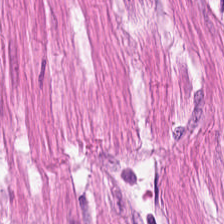Hematoxylin-and-eosin stained section. Q: What type of tissue is this?
A: It is smooth muscle.
